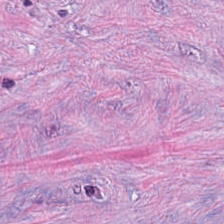Hematoxylin and eosin; 20× equivalent magnification. Q: Classify this patch.
A: It is tumor-associated stroma.
